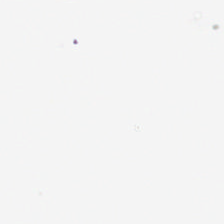H&E stain — This patch shows empty background.
